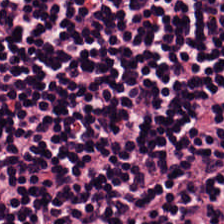Hematoxylin and eosin.
Tissue type = lymphocytic infiltrate.
